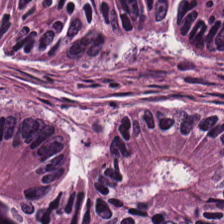Hematoxylin-and-eosin stained section. Predominantly tumor epithelium.
